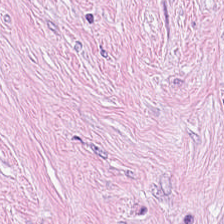Predominantly tumor stroma.
